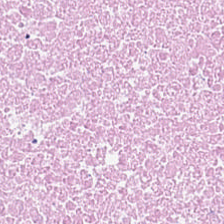H&E stain — Classification = cellular debris.
